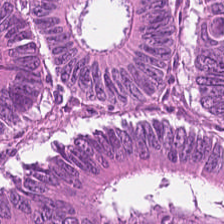Stain: H&E stain.
Tile size: 224×224 px patch.
Acquisition: brightfield.
Predominant tissue: colorectal adenocarcinoma.
